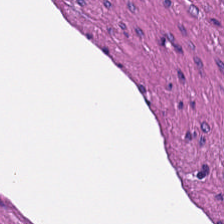H&E stain; 224×224 pixel tile; formalin-fixed paraffin-embedded section. Classification = smooth-muscle tissue.
